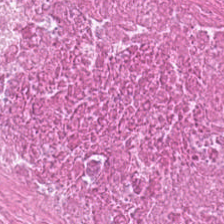Hematoxylin-and-eosin stained section — Tissue — necrotic debris.
